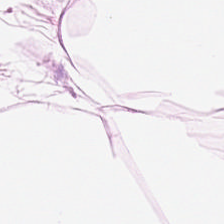H&E stain — The predominant tissue is adipocytes.
